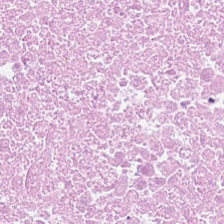H&E-stained tissue section.
Q: What type of tissue is this?
A: The field shows cellular debris.
